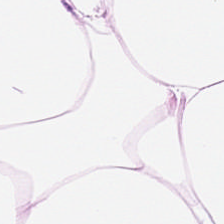H&E-stained tissue section.
Predominantly fat tissue.
